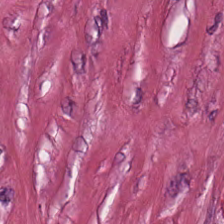H&E. 224×224 pixel tile. Brightfield microscopy.
Showing tumor stroma.
